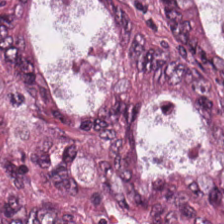224×224 px tile; H&E stain.
Q: What tissue is shown?
A: The field shows colorectal adenocarcinoma epithelium.
